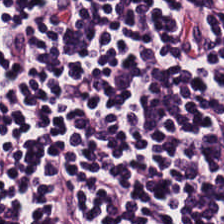Hematoxylin and eosin. FFPE tissue section. 224×224 px tile. Histology — lymphocytes.
